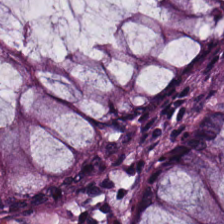WSI patch · 20× equivalent magnification · H&E-stained tissue section — Q: What tissue type is shown here?
A: This is benign colonic mucosa.
